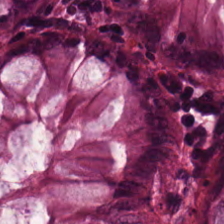Stain: hematoxylin-and-eosin stained section.
Acquisition: brightfield microscopy.
Tissue type: normal colon mucosa.
